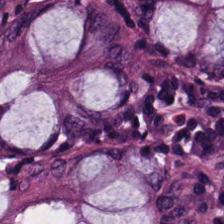Hematoxylin-and-eosin stained section; 224×224 px patch.
This patch shows benign colonic mucosa.
